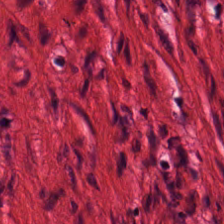H&E.
Predominantly smooth-muscle tissue.
